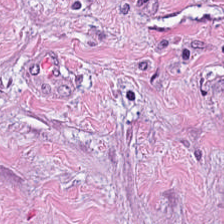224×224 pixel tile. Hematoxylin and eosin. Whole-slide-image patch — Predominantly cancer-associated stroma.
